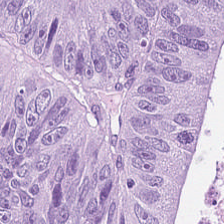FFPE tissue section. H&E stain. {"tissue_type": "colorectal adenocarcinoma epithelium"}
